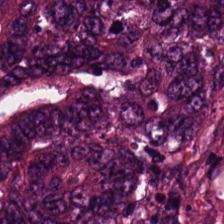224×224 px tile · H&E-stained tissue section — Q: What is shown in this field?
A: Tumor epithelium.
